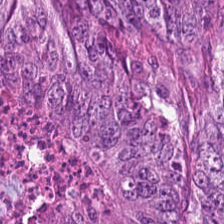Hematoxylin and eosin. 224×224 px patch.
Predominantly malignant epithelium.
